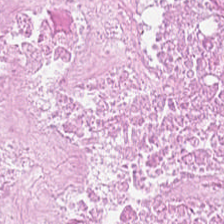Stain: H&E-stained tissue section.
Tile size: 224×224 pixel tile.
Tissue type: cellular debris.
